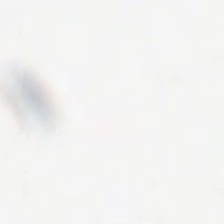Hematoxylin and eosin — Finding — background.
